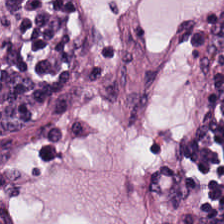H&E-stained tissue section; WSI patch. The tissue type is lymphocytic infiltrate.
